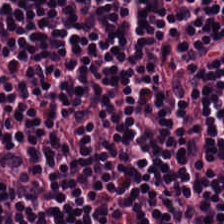224×224 px patch · hematoxylin-and-eosin stained section · FFPE.
Histology → lymphocytic infiltrate.
